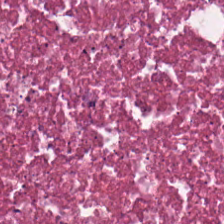Hematoxylin and eosin; 224×224 pixel tile; formalin-fixed paraffin-embedded section. Tissue: debris.
